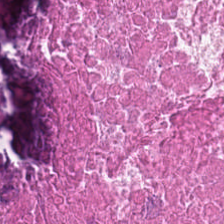Brightfield. H&E stain. 0.5 µm/px. Tissue type = debris.
